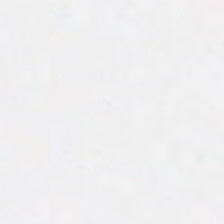H&E · brightfield microscopy · formalin-fixed paraffin-embedded section. Q: What is shown in this field?
A: This is no tissue.
